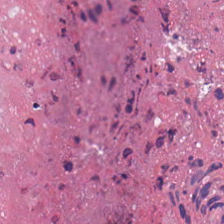H&E · 20× equivalent magnification. Tissue — cellular debris.
